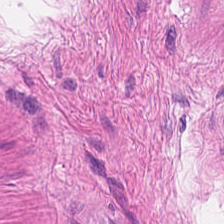224×224 pixel tile. H&E stain.
Predominant tissue — smooth muscle.
